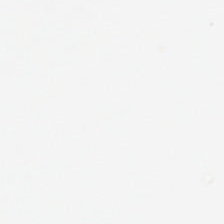Formalin-fixed paraffin-embedded section · H&E-stained tissue section · whole-slide-image patch.
Q: What is shown here?
A: It is no tissue.
